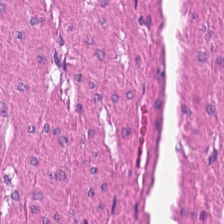Showing smooth-muscle tissue.
